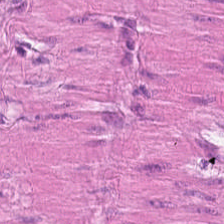Predominantly smooth muscle.
